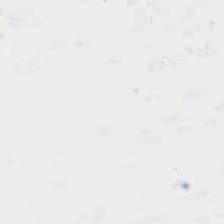Content — background.
